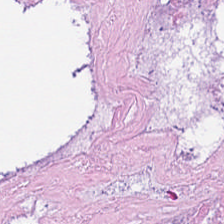H&E stain.
{"tissue_type": "debris"}
